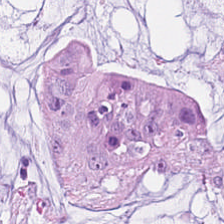H&E-stained tissue section.
{"tissue_type": "extracellular mucin"}
